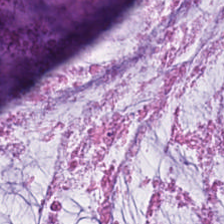Hematoxylin-and-eosin section: mucus.
